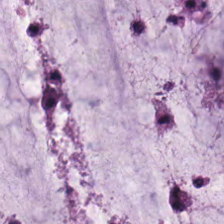H&E — Q: What tissue is shown?
A: This is mucin.
